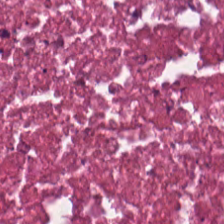Classification = debris.
